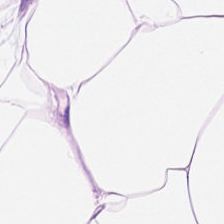Hematoxylin-and-eosin stained section. The predominant tissue is adipocytes.
